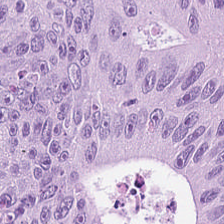H&E-stained tissue section showing tumor epithelium.
